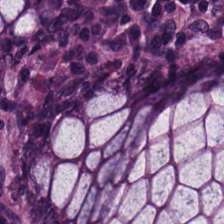0.5 microns per pixel · hematoxylin-and-eosin stained section — The tissue here is normal colon mucosa.
